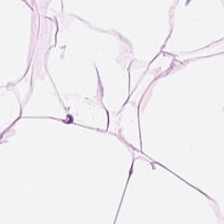H&E-stained tissue section.
Histology → adipocytes.
